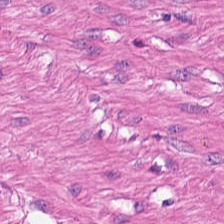Tissue class — smooth muscle.
